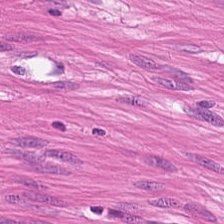Tissue = smooth muscle.
